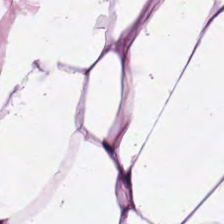Stain: H&E.
Tissue class: adipose.
